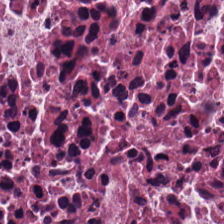H&E-stained tissue section. The predominant tissue is debris.
